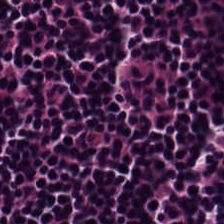H&E-stained tissue section.
Tissue class: lymphoid infiltrate.
